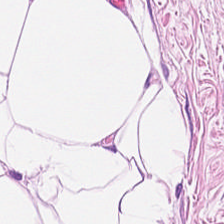Q: Identify the tissue.
A: Adipose.
